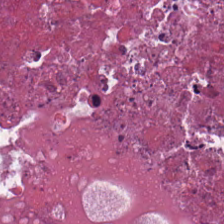The predominant tissue is cellular debris.
